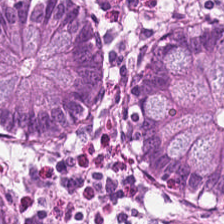H&E stain.
Predominant tissue = normal colonic mucosa.
